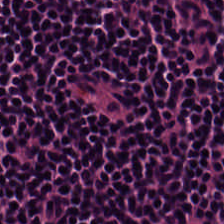FFPE; hematoxylin-and-eosin stained section.
Predominantly lymphocytes.
